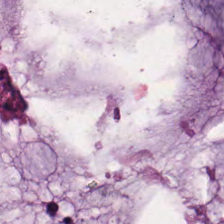224×224 pixel tile. Hematoxylin and eosin. Brightfield microscopy. Q: What does this patch show?
A: This is extracellular mucin.
